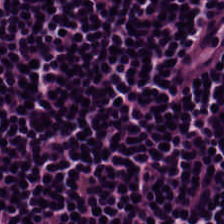H&E.
This patch shows lymphocytic infiltrate.
